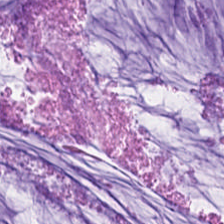224×224 pixel tile · FFPE tissue section · hematoxylin and eosin. Mucin.
